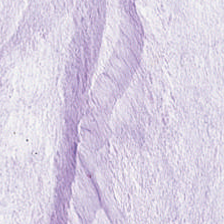H&E — mucin.
